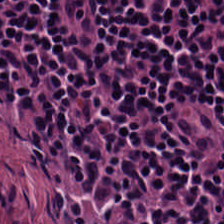Hematoxylin and eosin. Tissue type: lymphocyte aggregate.
